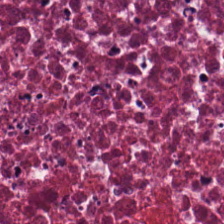Hematoxylin-and-eosin section: necrotic debris.
